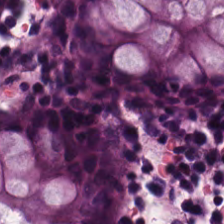H&E — normal colonic mucosa.
